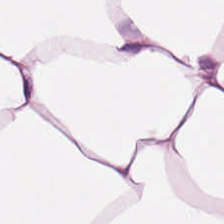H&E-stained tissue section. Predominant tissue = adipose tissue.
